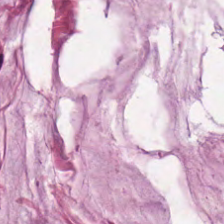Hematoxylin-and-eosin stained section. 224×224 pixel tile — Showing mucin.
